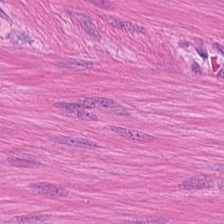H&E — Q: What type of tissue is this?
A: Muscularis.
